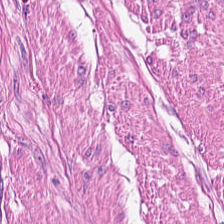FFPE; hematoxylin and eosin. Classification: smooth muscle.
